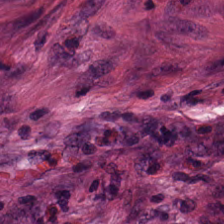H&E — Finding — cancer-associated stroma.
